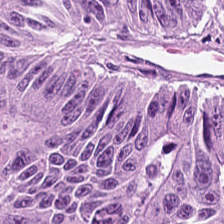H&E stain.
Classification: colorectal adenocarcinoma.
